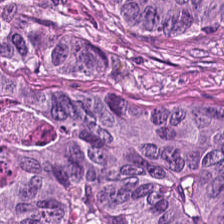Q: What is shown here?
A: It is malignant epithelium.
